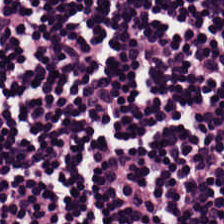Hematoxylin and eosin · WSI patch.
The tissue is lymphocytes.
